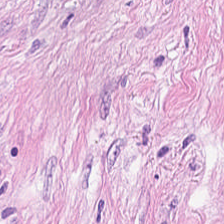The tissue here is tumor-associated stroma.
